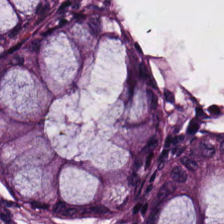Hematoxylin and eosin · 224×224 px patch · 0.5 microns per pixel.
{"tissue_type": "normal colon mucosa"}
